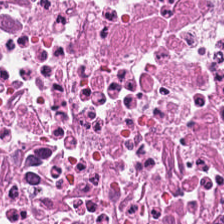The tissue is debris.
